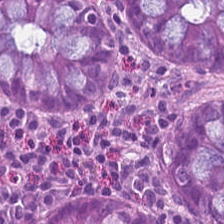Histology → normal colonic mucosa.
